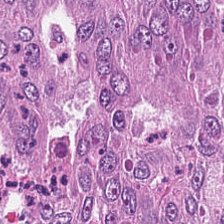20× equivalent magnification. Hematoxylin-and-eosin stained section.
Showing tumor epithelium.
